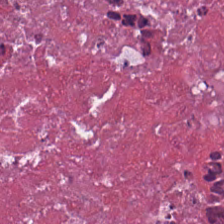Histology → cellular debris.
